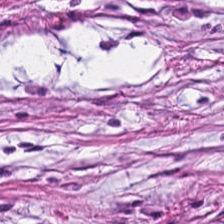H&E-stained tissue section. 20× equivalent magnification. Tissue type = cancer-associated stroma.
